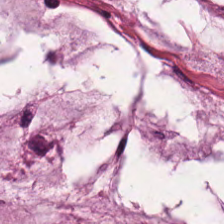H&E stain.
Tissue class: mucin.
